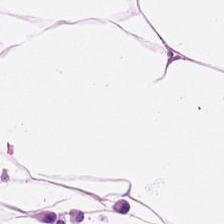Hematoxylin and eosin. Predominantly adipose.
